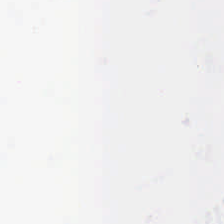The field content is background.
